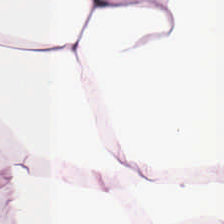H&E stain.
{"tissue_type": "adipose tissue"}
